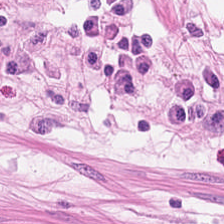Predominantly smooth-muscle tissue.
